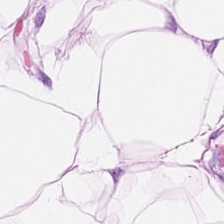H&E stain.
Tissue class: adipose tissue.
